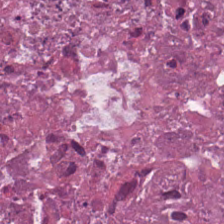Tissue type = debris.
